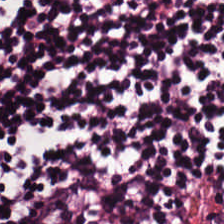20× equivalent magnification; hematoxylin-and-eosin stained section. The tissue is lymphocyte aggregate.
